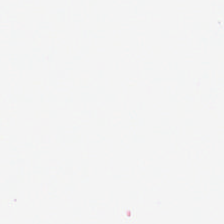Hematoxylin and eosin. Field content = background (no tissue).
